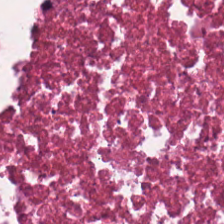H&E stain.
The classification is cellular debris.
